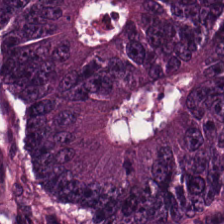Hematoxylin and eosin.
Histology → tumor epithelium.
